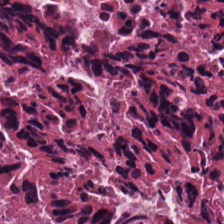H&E stain — The tissue here is necrotic debris.
